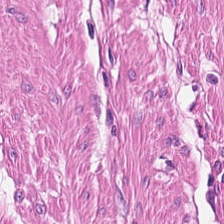H&E-stained tissue section. This field is smooth-muscle tissue.
